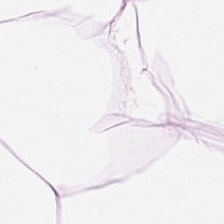H&E-stained tissue section; FFPE tissue section. This patch shows adipose tissue.
